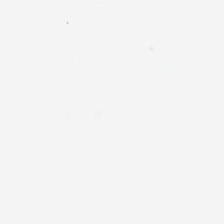Impression — no tissue.
